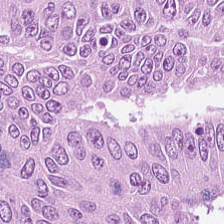Brightfield microscopy · H&E — Q: What type of tissue is this?
A: It is tumor epithelium.
